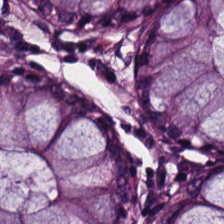0.5 µm per pixel; hematoxylin and eosin.
This field is non-neoplastic colon mucosa.
